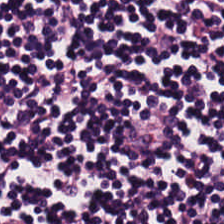Lymphocytes.
